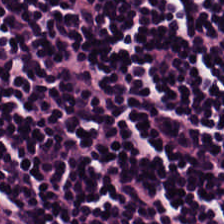Hematoxylin-and-eosin stained section.
This field is lymphocytes.
